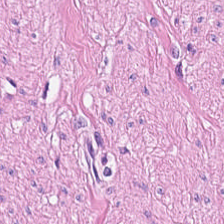Hematoxylin-and-eosin stained section.
Tissue type: muscularis.
